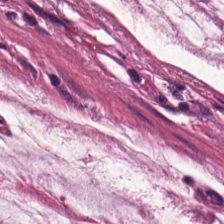WSI patch. FFPE. H&E-stained tissue section.
The tissue type is mucin.
